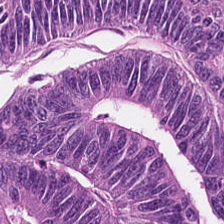H&E — Predominant tissue: tumor epithelium.
